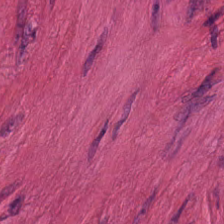Impression → smooth muscle.
